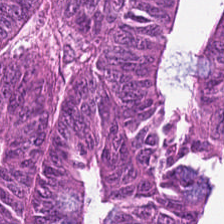Stain: H&E.
Tissue type: colorectal adenocarcinoma.
